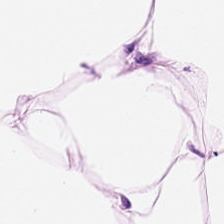H&E. 0.5 microns per pixel.
Showing adipocytes.
